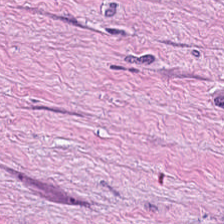224×224 px patch · formalin-fixed paraffin-embedded section · H&E-stained tissue section. Q: What tissue is shown?
A: Tumor stroma.
